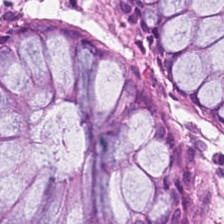H&E stain; 0.5 µm per pixel; FFPE tissue section.
Classification = normal colon mucosa.
